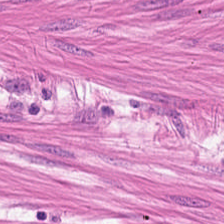Hematoxylin and eosin. Q: What type of tissue is this?
A: This is smooth muscle.
